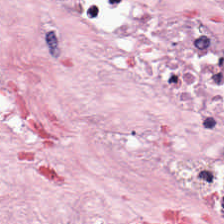The tissue type is desmoplastic stroma.
